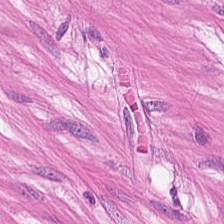H&E-stained tissue section. 0.5 µm/px. WSI patch. Q: Identify the tissue.
A: It is smooth-muscle tissue.
